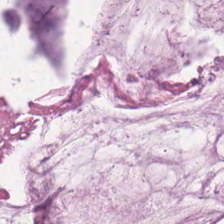Hematoxylin-and-eosin stained section.
Showing mucin.
